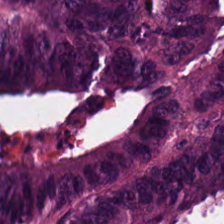H&E stain — Finding — adenocarcinoma.
